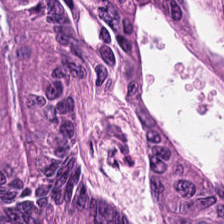H&E-stained tissue section showing tumor epithelium.
